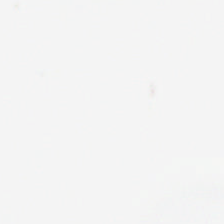FFPE tissue section; hematoxylin and eosin; 20× equivalent magnification.
Background — no tissue in this field.
